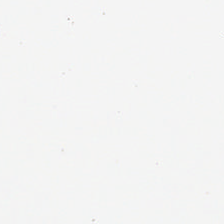No tissue present; background only.
